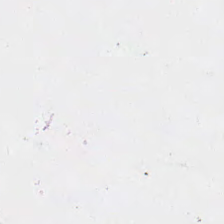H&E-stained tissue section.
Empty field — background (no tissue).
